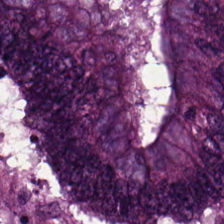H&E stain. WSI patch. 224×224 px patch. The predominant tissue is tumor epithelium.
